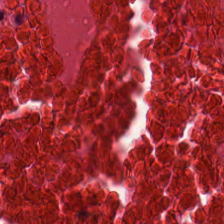H&E-stained tissue section. 224×224 px patch.
Q: Identify the tissue.
A: It is debris.
